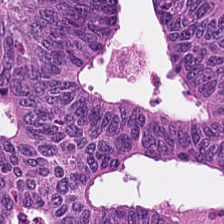H&E stain. The tissue here is colorectal adenocarcinoma.
